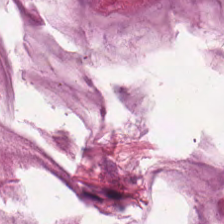H&E. This patch shows mucin.
